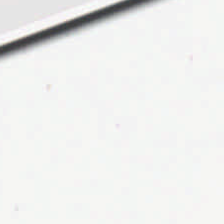Hematoxylin-and-eosin stained section; 224×224 px patch. Content = empty background.
